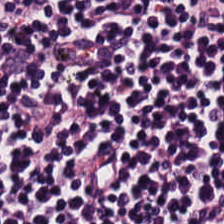H&E-stained tissue section — The tissue class is lymphoid infiltrate.
